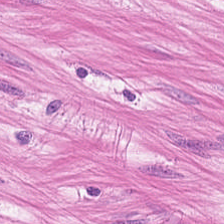H&E stain.
Tissue type: muscularis.
